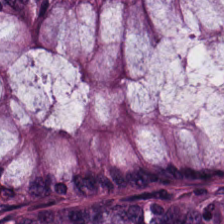H&E-stained tissue section. Predominantly normal colonic mucosa.
